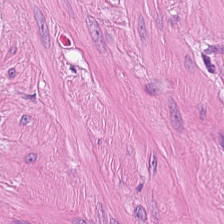Stain: H&E stain.
Classification: smooth-muscle tissue.
